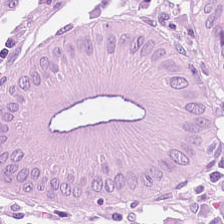Q: What is shown in this field?
A: The field shows normal colon mucosa.
